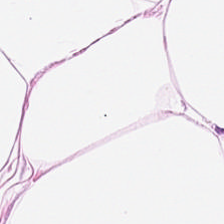Stain: hematoxylin and eosin.
Tile size: 224×224 px tile.
Preparation: formalin-fixed paraffin-embedded section.
Tissue class: adipocytes.
